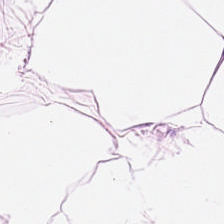H&E stain.
The predominant tissue is fat tissue.
